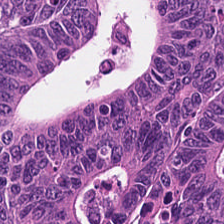H&E-stained tissue section. Tissue — colorectal adenocarcinoma.
